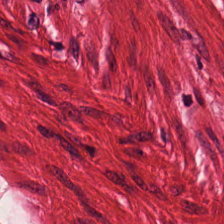H&E stain · 224×224 px patch. Q: What does this patch show?
A: This is muscularis.
